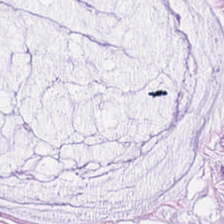Stain: H&E-stained tissue section.
Tissue type: extracellular mucin.
